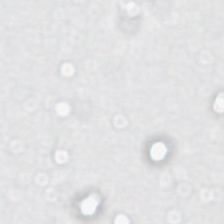H&E-stained tissue section. Empty field — background.
